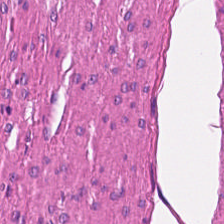H&E stain. WSI patch.
Histology → smooth-muscle tissue.
